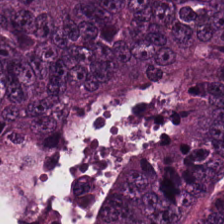H&E stain.
Predominantly colorectal adenocarcinoma epithelium.
